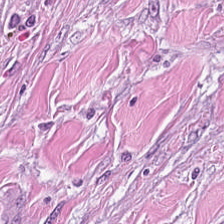Hematoxylin-and-eosin stained section. Classification: tumor-associated stroma.
